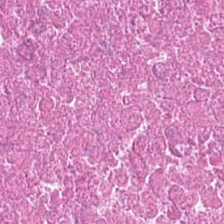H&E — cellular debris.
